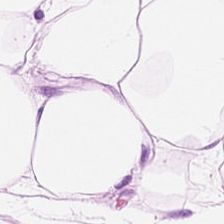Hematoxylin and eosin — Predominant tissue = adipose tissue.
